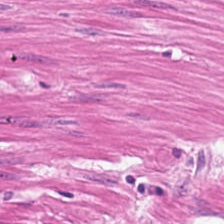Hematoxylin and eosin. Formalin-fixed paraffin-embedded section. Q: What is the predominant tissue type?
A: Smooth muscle.
